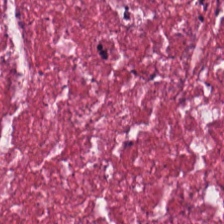Showing cancer-associated stroma.
